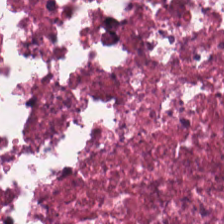FFPE. H&E stain. 0.5 µm per pixel — Predominant tissue — cellular debris.
